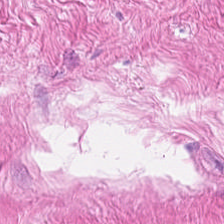H&E-stained tissue section — Q: What tissue is shown?
A: The field shows smooth-muscle tissue.
